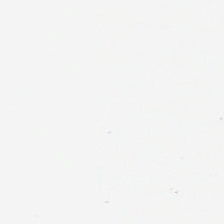Hematoxylin and eosin. Classification = background.
